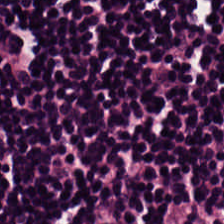0.5 microns per pixel · hematoxylin and eosin — Tissue class = lymphoid infiltrate.
